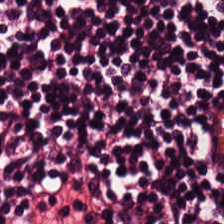0.5 µm/px. H&E stain.
Q: What type of tissue is this?
A: This is lymphocytic infiltrate.
